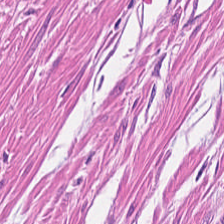Q: What is the predominant tissue type?
A: Muscularis.
